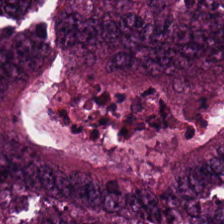Whole-slide-image patch. H&E stain.
Predominant tissue = colorectal adenocarcinoma epithelium.
